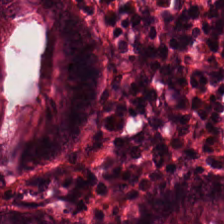Stain: hematoxylin-and-eosin stained section.
Acquisition: whole-slide-image patch.
Preparation: FFPE tissue section.
Tissue class: normal colonic mucosa.
